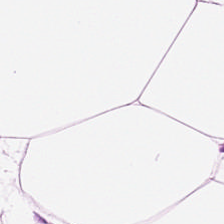H&E-stained tissue section.
Q: What is shown here?
A: This is adipose.
